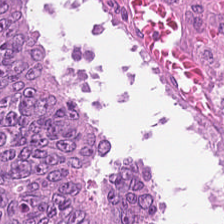Hematoxylin-and-eosin stained section. The predominant tissue is malignant epithelium.
